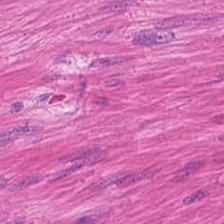H&E-stained tissue section · formalin-fixed paraffin-embedded section — This patch shows smooth muscle.
